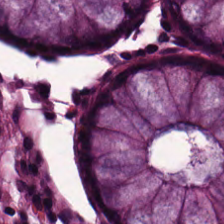Finding — normal colonic mucosa.
